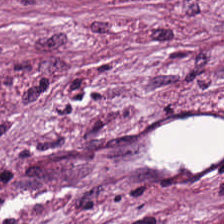H&E stain. WSI patch — Finding → cancer-associated stroma.
